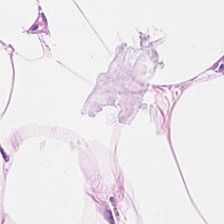Hematoxylin-and-eosin stained section · 20× equivalent magnification. Adipose tissue.
